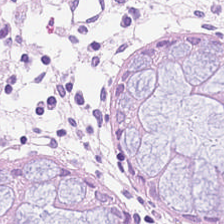H&E stain; FFPE tissue section; brightfield.
Tissue class: non-neoplastic colon mucosa.
